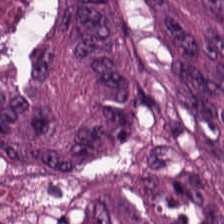H&E. Tissue: tumor epithelium.
